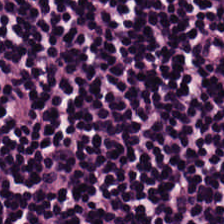Stain: H&E-stained tissue section.
Predominant tissue: lymphoid infiltrate.
